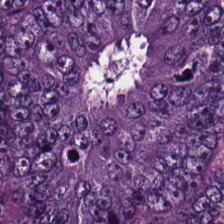Malignant epithelium.
